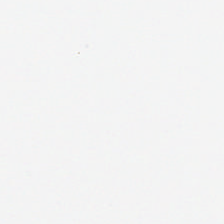Background — no tissue in this field.
